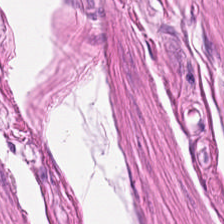224×224 pixel tile; FFPE; H&E-stained tissue section — Predominant tissue = muscularis.
